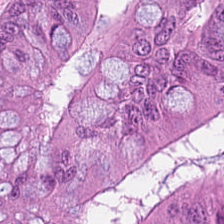Hematoxylin and eosin.
This patch shows colorectal adenocarcinoma.
